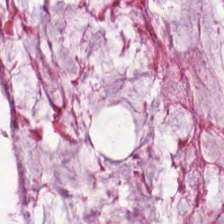Predominant tissue = extracellular mucin.
